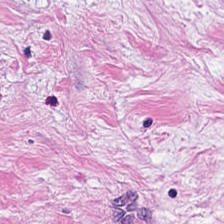Hematoxylin-and-eosin section: tumor-associated stroma.
